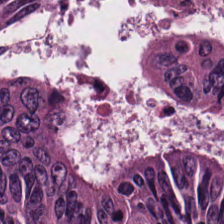Histology → adenocarcinoma.
